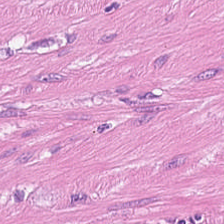Impression — muscularis.
